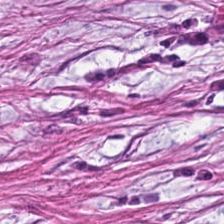H&E stain · WSI patch · 224×224 px patch.
This field is cancer-associated stroma.
